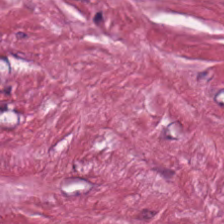0.5 microns per pixel · hematoxylin and eosin. This field is desmoplastic stroma.
